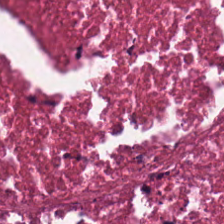H&E. 224×224 pixel tile. 0.5 µm per pixel.
Showing necrotic debris.
